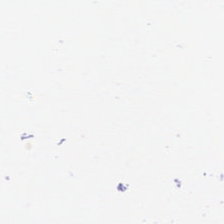H&E stain · brightfield. Field content: empty background.
